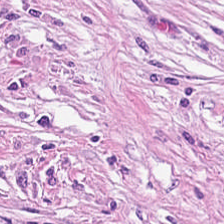Brightfield microscopy. H&E. FFPE tissue section.
The tissue here is cancer-associated stroma.
